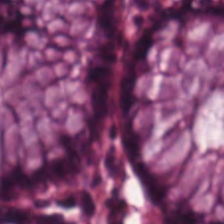Q: What does this patch show?
A: Normal colon mucosa.
